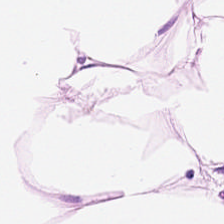Tissue: adipocytes.
